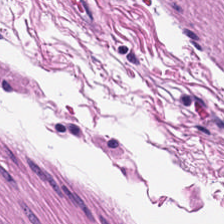Hematoxylin-and-eosin stained section — Showing smooth-muscle tissue.
